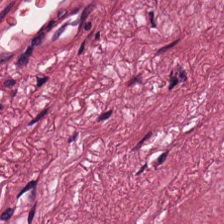224×224 px tile; H&E.
Q: What is shown here?
A: It is tumor-associated stroma.
